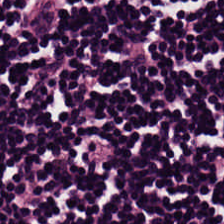Tissue class: lymphocyte aggregate.
